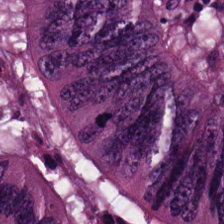H&E-stained tissue section. Tissue type = adenocarcinoma.
